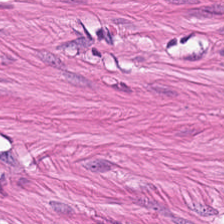20× equivalent magnification. H&E stain.
Smooth muscle.
